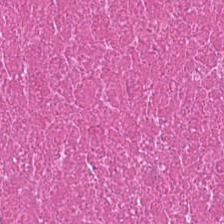0.5 microns per pixel · H&E stain. Showing debris.
